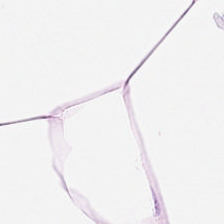Classification: fat tissue.
